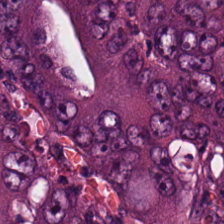{"tissue_type": "malignant epithelium"}
